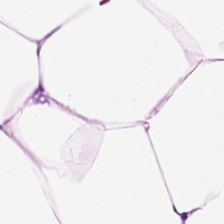Q: What is the predominant tissue type?
A: It is adipose.
